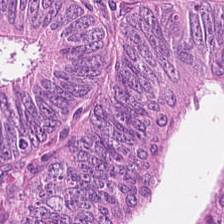Showing colorectal adenocarcinoma epithelium.
